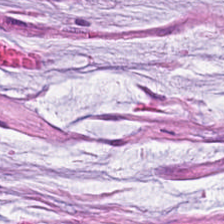0.5 µm/px; H&E-stained tissue section — Showing extracellular mucin.
